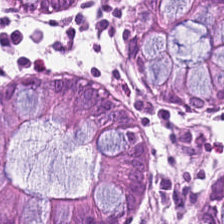Hematoxylin and eosin; formalin-fixed paraffin-embedded section.
This field is benign colonic mucosa.
